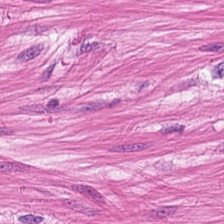Stain: H&E-stained tissue section.
Resolution: 0.5 microns per pixel.
Classification: muscularis.
